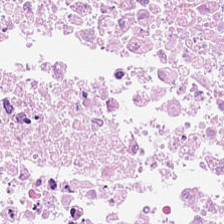H&E stain — {"tissue_type": "debris"}
